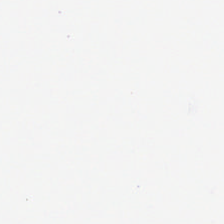Brightfield. 0.5 µm per pixel. H&E stain. Q: What is shown here?
A: It is background.
